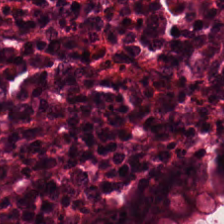H&E. The predominant tissue is normal colonic mucosa.
